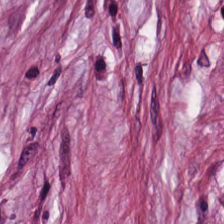H&E stain. Tissue type: cancer-associated stroma.
